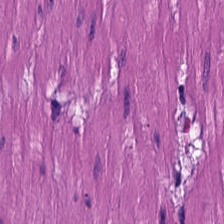Stain: H&E.
Tissue: muscularis.
